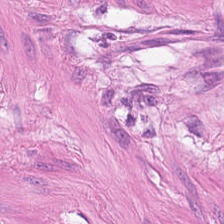Hematoxylin-and-eosin stained section — The tissue here is muscularis.
